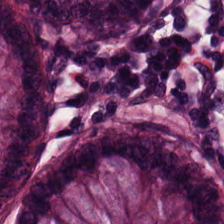H&E.
Tissue class: normal colon mucosa.
